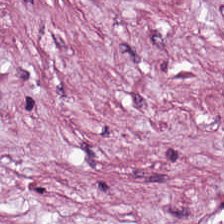224×224 px tile · H&E-stained tissue section.
Showing cancer-associated stroma.
